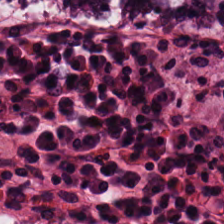Brightfield; H&E; 0.5 µm/px. Predominantly normal colon mucosa.
